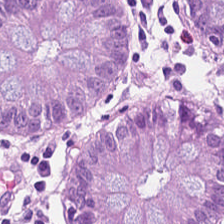Hematoxylin-and-eosin stained section; 224×224 px patch.
The predominant tissue is normal colon mucosa.
